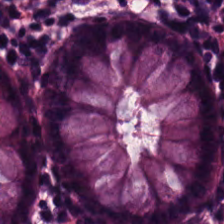Stain: H&E.
Preparation: FFPE tissue section.
Predominant tissue: normal colonic mucosa.
